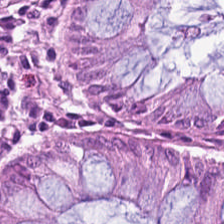H&E. 0.5 µm/px. Showing non-neoplastic colon mucosa.
